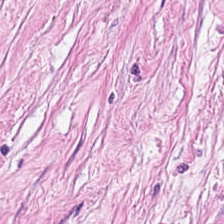H&E stain · 0.5 µm/px. {"tissue_type": "cancer-associated stroma"}
